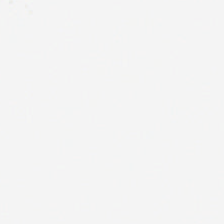Content — empty background.
